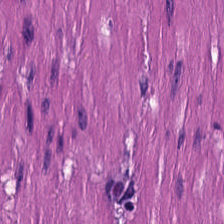H&E stain. 224×224 pixel tile.
Predominantly smooth-muscle tissue.
